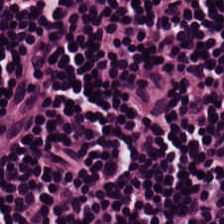Stain: hematoxylin-and-eosin stained section.
Resolution: 0.5 µm per pixel.
Tissue class: lymphocyte aggregate.
